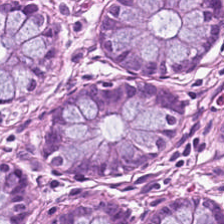20× equivalent magnification · hematoxylin-and-eosin stained section · FFPE tissue section.
Tissue type = non-neoplastic colon mucosa.
